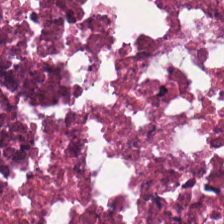0.5 µm/px; H&E stain — The tissue is debris.
